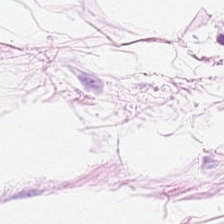Showing adipose tissue.
